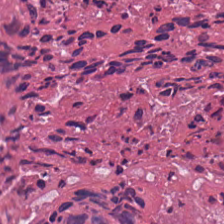Q: Identify the tissue.
A: It is necrotic debris.
